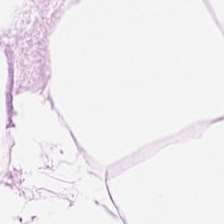Impression → fat tissue.
